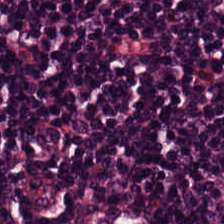WSI patch. FFPE tissue section. Hematoxylin-and-eosin stained section — Lymphocytic infiltrate.
